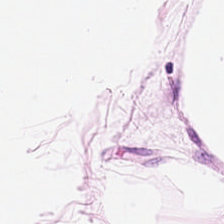H&E-stained section; the field shows adipose.
